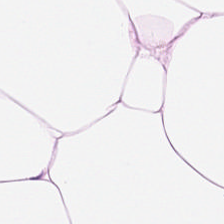The predominant tissue is adipose.
